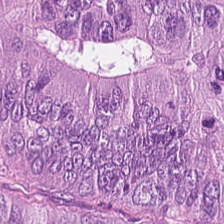H&E patch showing colorectal adenocarcinoma epithelium.
